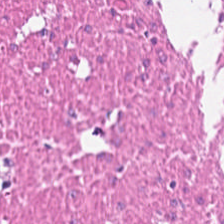Predominantly smooth muscle.
